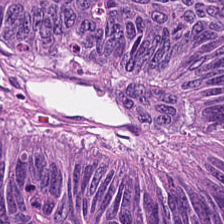H&E stain; brightfield microscopy; 224×224 pixel tile. This patch shows malignant epithelium.
